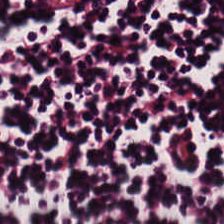H&E stain — Tissue type — lymphocytes.
